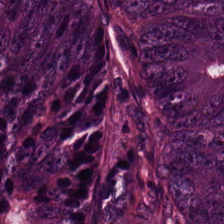H&E stain. Impression → tumor epithelium.
